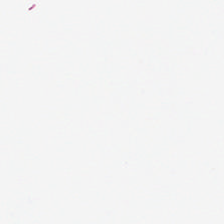H&E-stained tissue section — Content: background.
